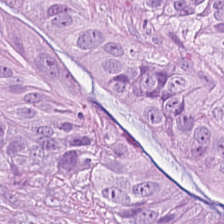0.5 µm/px; hematoxylin-and-eosin stained section. Showing colorectal adenocarcinoma epithelium.
